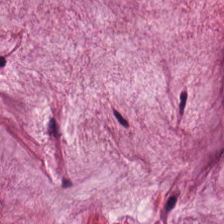FFPE tissue section; 0.5 microns per pixel; hematoxylin and eosin. This field is mucus.
